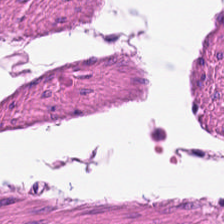H&E-stained tissue section.
Q: What does this patch show?
A: It is muscularis.
